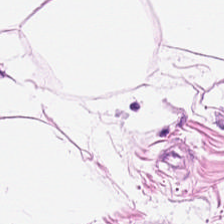Hematoxylin and eosin — Q: What tissue is shown?
A: Adipocytes.
